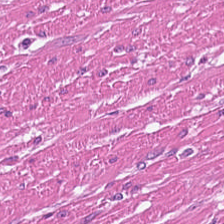H&E-stained tissue section. Q: What type of tissue is this?
A: The field shows smooth muscle.
